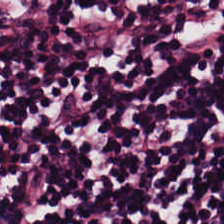{"tissue_type": "lymphocyte aggregate"}
